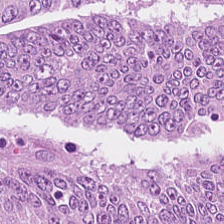H&E-stained tissue section · 0.5 µm per pixel — The tissue is tumor epithelium.
